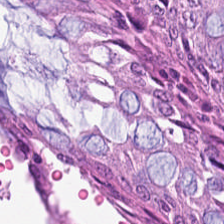Hematoxylin and eosin — Showing benign colonic mucosa.
